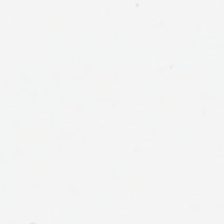H&E-stained tissue section. Q: Classify this patch.
A: This is background (no tissue).
